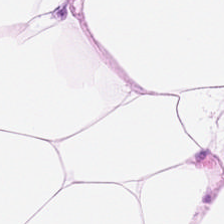Formalin-fixed paraffin-embedded section; hematoxylin and eosin — Histology → adipose tissue.
